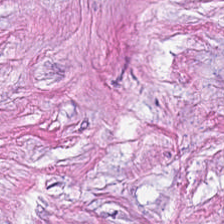H&E-stained tissue section · FFPE tissue section. This patch shows tumor-associated stroma.
